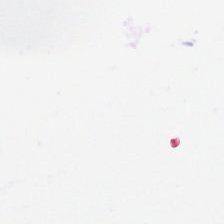Hematoxylin and eosin; formalin-fixed paraffin-embedded section. Empty field — background.
